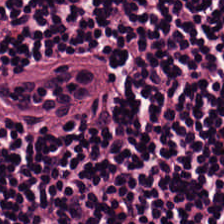H&E-stained tissue section.
The classification is lymphoid infiltrate.
